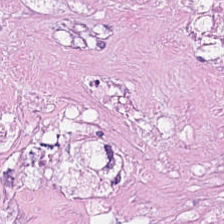Tissue — debris.
